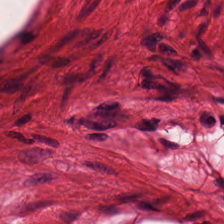224×224 px patch · hematoxylin and eosin · brightfield — Predominant tissue: muscularis.
